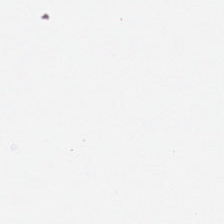Brightfield microscopy; hematoxylin-and-eosin stained section. This field is background (no tissue).
